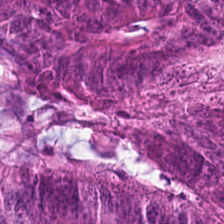H&E-stained tissue section · WSI patch. The tissue here is malignant epithelium.
